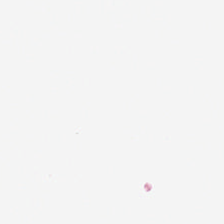FFPE tissue section. H&E-stained tissue section. Histology — background.
